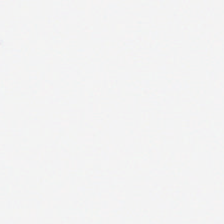Hematoxylin and eosin. This patch shows adipose.
